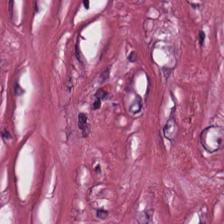FFPE. Hematoxylin and eosin.
Q: What is shown in this field?
A: Desmoplastic stroma.
